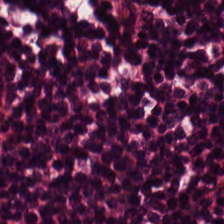H&E-stained tissue section showing lymphocytes.
